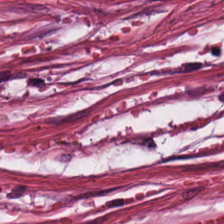0.5 µm per pixel. H&E-stained tissue section. Q: What tissue type is shown here?
A: Cancer-associated stroma.
